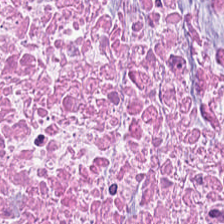Hematoxylin and eosin — This patch shows debris.
